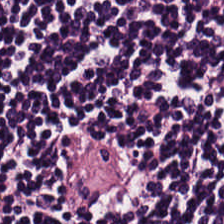{"tissue_type": "lymphocytic infiltrate"}
